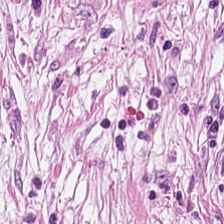H&E stain — {"tissue_type": "tumor-associated stroma"}
